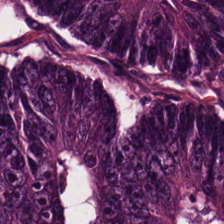Hematoxylin and eosin · 0.5 µm per pixel.
Showing colorectal adenocarcinoma.
